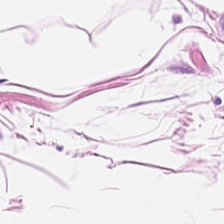H&E-stained tissue section — Adipose tissue.
